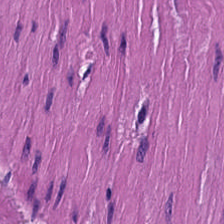H&E-stained tissue section · 20× equivalent magnification. {"tissue_type": "smooth-muscle tissue"}
